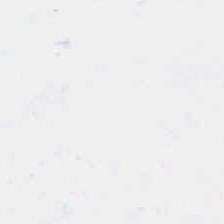H&E-stained tissue section — Q: What does this patch show?
A: This is background (no tissue).
